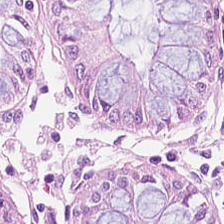H&E-stained tissue section; 224×224 px patch; 0.5 µm per pixel.
Q: What type of tissue is this?
A: Normal colon mucosa.
